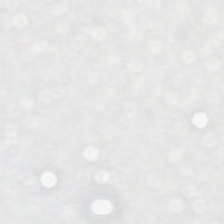Background (no tissue).
